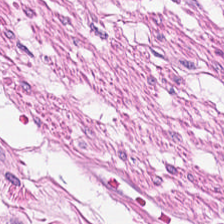0.5 µm/px · hematoxylin and eosin · FFPE.
The classification is smooth muscle.
